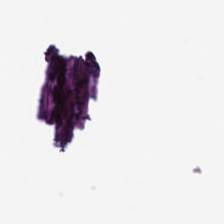Histology → background (no tissue).
